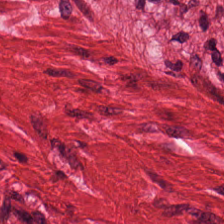H&E stain. Q: What is shown in this field?
A: The field shows smooth muscle.
